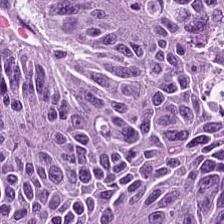Hematoxylin and eosin — This field is colorectal adenocarcinoma.
